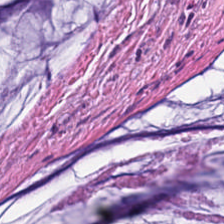0.5 µm per pixel. Hematoxylin and eosin. Q: What type of tissue is this?
A: It is mucus.
